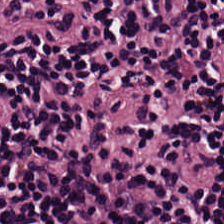H&E; FFPE tissue section; 224×224 px tile. This patch shows lymphocytic infiltrate.
